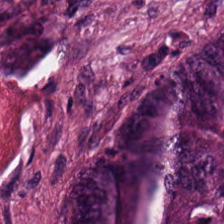H&E. FFPE. 224×224 px patch — Q: Classify this patch.
A: The field shows tumor epithelium.
